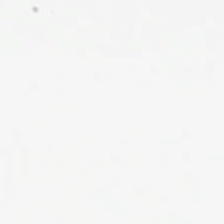This field is background (no tissue).
